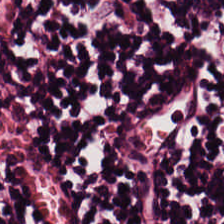{"tissue_type": "lymphocytes"}
